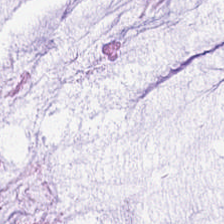H&E; brightfield — Impression — mucus.
